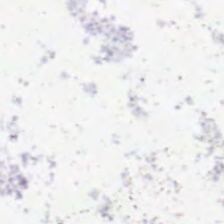Stain: hematoxylin-and-eosin stained section.
Tile size: 224×224 px tile.
Classification: empty background.
